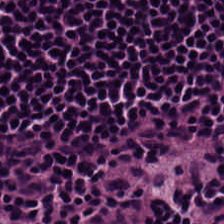H&E stain; WSI patch. Finding — lymphocytic infiltrate.
